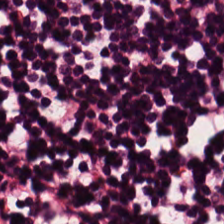Predominant tissue: lymphocytic infiltrate.
